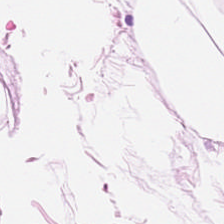Hematoxylin-and-eosin section: adipose tissue.
